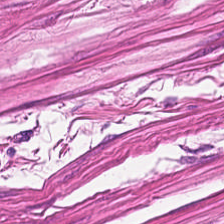H&E — This field is smooth-muscle tissue.
